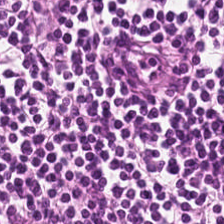Hematoxylin-and-eosin stained section; whole-slide-image patch. Lymphocytes.
